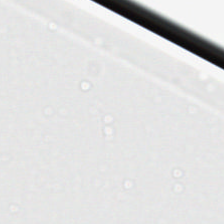Hematoxylin-and-eosin stained section. Q: What is shown in this field?
A: Background (no tissue).
